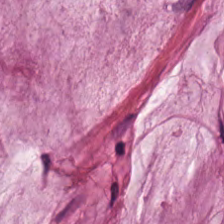Tissue class = mucus.
